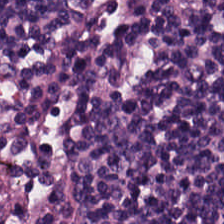H&E stain — Q: What is shown in this field?
A: It is lymphocytic infiltrate.
